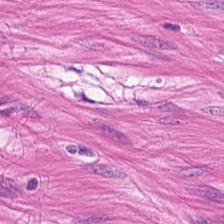H&E. WSI patch. 0.5 microns per pixel — This patch shows smooth muscle.
